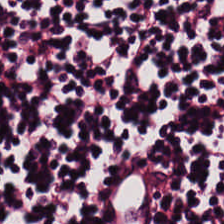Hematoxylin-and-eosin stained section — Q: What tissue is shown?
A: The field shows lymphocytes.
